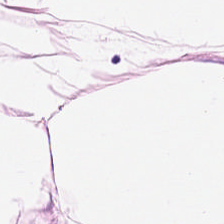H&E stain. Showing adipose.
